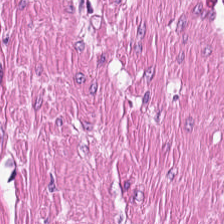0.5 microns per pixel; H&E-stained tissue section; 224×224 px tile. {"tissue_type": "smooth muscle"}
